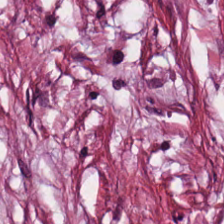Tissue — tumor-associated stroma.
